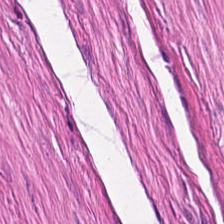224×224 px patch. Whole-slide-image patch. Hematoxylin and eosin. Q: What is shown here?
A: Muscularis.
